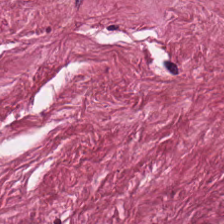Hematoxylin-and-eosin stained section.
Predominantly cancer-associated stroma.
